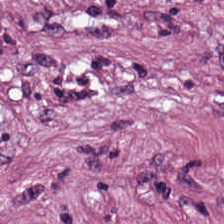Tissue class = tumor-associated stroma.
